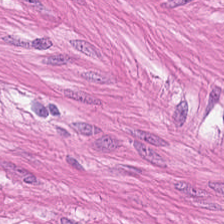Stain: hematoxylin-and-eosin stained section.
Preparation: FFPE tissue section.
Tissue class: muscularis.
